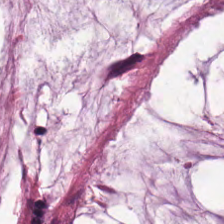H&E stain.
The classification is extracellular mucin.
